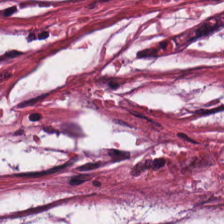Hematoxylin and eosin; 224×224 px patch. The tissue type is desmoplastic stroma.
